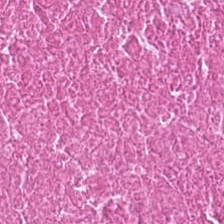WSI patch · hematoxylin-and-eosin stained section.
Cellular debris.
